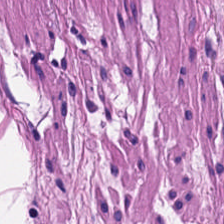Brightfield; hematoxylin-and-eosin stained section. Tissue class = muscularis.
